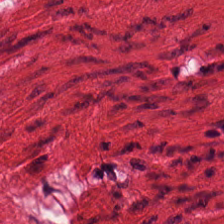Q: What tissue is shown?
A: The field shows smooth-muscle tissue.
